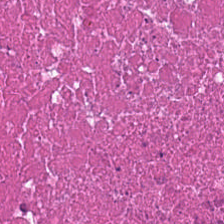0.5 µm per pixel · hematoxylin and eosin · formalin-fixed paraffin-embedded section. Tissue = cellular debris.
